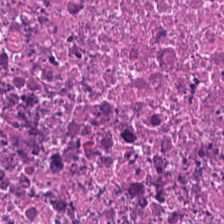Hematoxylin and eosin. The predominant tissue is necrotic debris.
